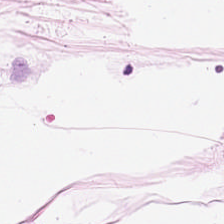H&E. Tissue type = adipose tissue.
